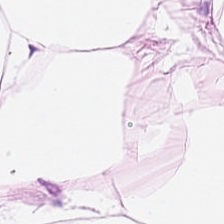0.5 microns per pixel · H&E.
This patch shows fat tissue.
